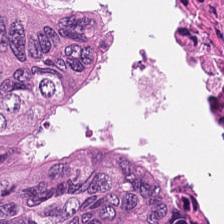H&E stain — {"tissue_type": "cellular debris"}
